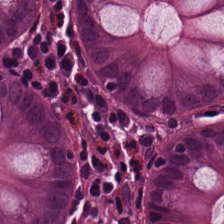This field is non-neoplastic colon mucosa.
